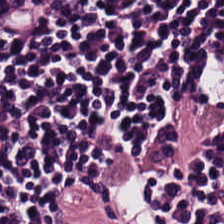Tissue — lymphocytes.
